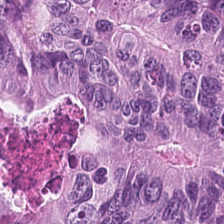Tissue type = adenocarcinoma.
